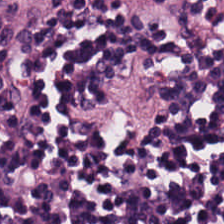H&E.
The predominant tissue is lymphocytic infiltrate.
